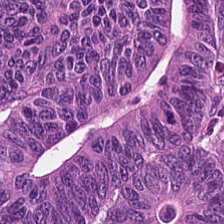H&E stain.
Q: What tissue is shown?
A: The field shows tumor epithelium.
